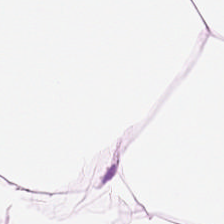H&E-stained tissue section — Predominantly adipocytes.
